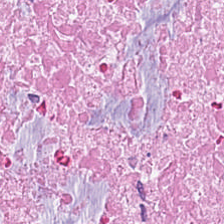FFPE tissue section; 224×224 px patch; hematoxylin and eosin. This field is debris.
